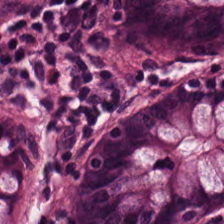H&E-stained tissue section.
The predominant tissue is normal colonic mucosa.
